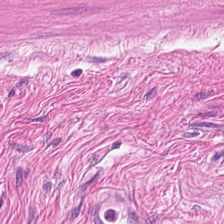Stain: H&E.
Tissue: smooth-muscle tissue.
